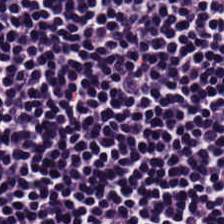Hematoxylin-and-eosin stained section.
Showing lymphocytes.
